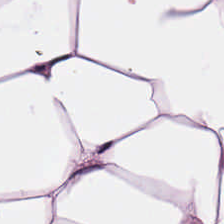Histology → fat tissue.
